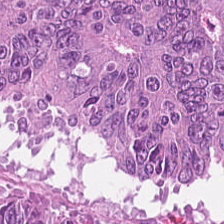H&E-stained tissue section.
{"tissue_type": "colorectal adenocarcinoma epithelium"}
